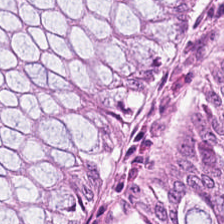H&E stain — The tissue here is normal colonic mucosa.
